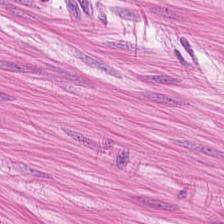H&E stain.
Q: What type of tissue is this?
A: Smooth muscle.
